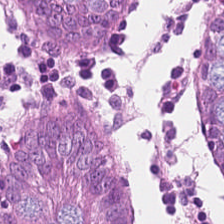H&E — Q: What tissue is shown?
A: This is non-neoplastic colon mucosa.
